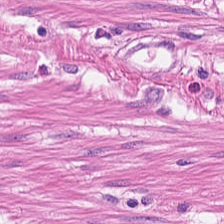H&E. This patch shows smooth muscle.
